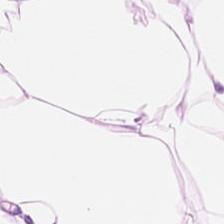Hematoxylin and eosin. 224×224 pixel tile. FFPE — Predominant tissue: adipocytes.
